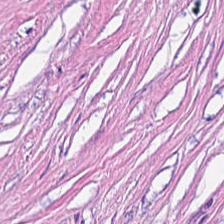Tissue: tumor stroma.
